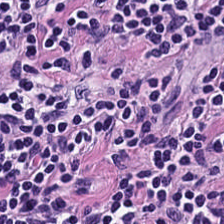The tissue class is lymphocytic infiltrate.
